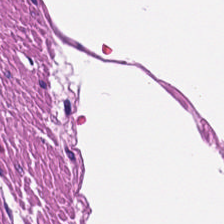Stain: hematoxylin-and-eosin stained section.
Predominant tissue: muscularis.
